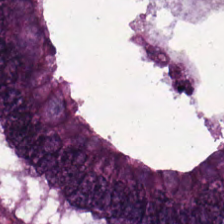0.5 microns per pixel; hematoxylin-and-eosin stained section — This patch shows adenocarcinoma.
